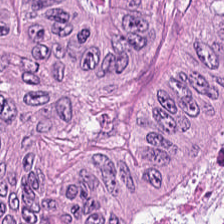Hematoxylin and eosin.
Tissue type: colorectal adenocarcinoma epithelium.
